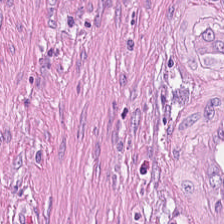0.5 microns per pixel. 224×224 px tile. H&E stain — Showing tumor stroma.
